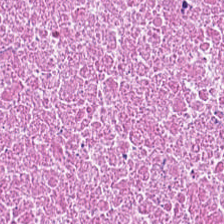Finding — debris.
